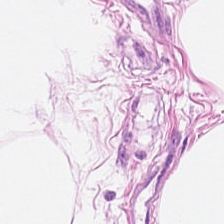Stain: H&E stain.
Classification: adipocytes.
